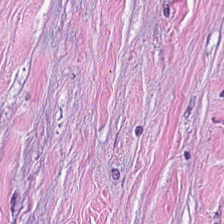Hematoxylin-and-eosin stained section. 20× equivalent magnification — This patch shows cancer-associated stroma.
